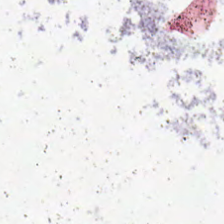0.5 µm per pixel; H&E-stained tissue section. Field content: background (no tissue).
